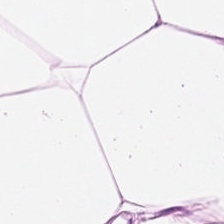H&E-stained tissue section.
Classification = adipose tissue.
